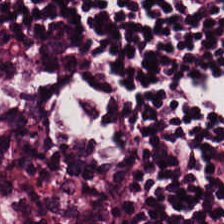Hematoxylin-and-eosin stained section · 0.5 µm/px — This field is lymphocytic infiltrate.
